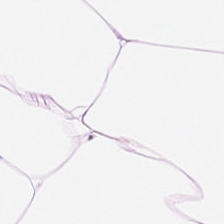H&E stain — {"tissue_type": "adipocytes"}
